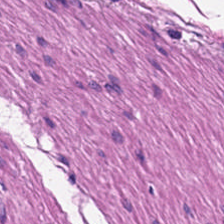H&E; 0.5 microns per pixel; FFPE tissue section — Q: What tissue is shown?
A: Muscularis.
